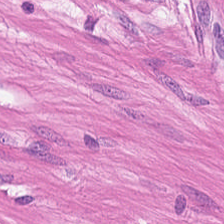Hematoxylin and eosin.
Predominant tissue = muscularis.
